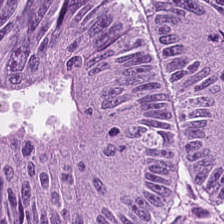224×224 px tile. FFPE. Hematoxylin-and-eosin stained section — Q: Classify this patch.
A: It is tumor epithelium.
